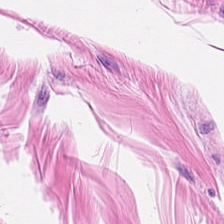Brightfield microscopy · H&E. Predominant tissue: smooth-muscle tissue.
